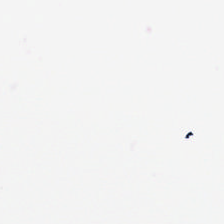Stain: hematoxylin-and-eosin stained section.
Tile size: 224×224 px patch.
Field content: empty background.
